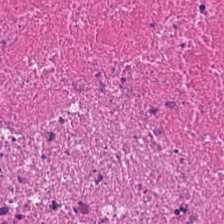H&E-stained section; the field shows debris.
